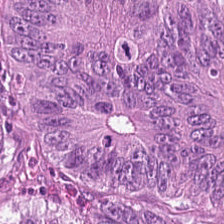H&E stain. 224×224 px patch. The tissue here is adenocarcinoma.
